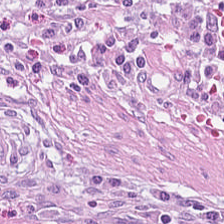WSI patch · hematoxylin and eosin · 0.5 µm per pixel — Tissue type — desmoplastic stroma.
